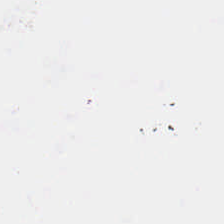Hematoxylin and eosin. Background — no tissue in this field.
